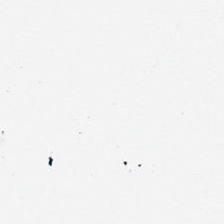H&E stain; formalin-fixed paraffin-embedded section.
Finding → empty background.
